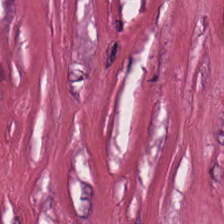Hematoxylin-and-eosin stained section. WSI patch — {"tissue_type": "tumor stroma"}
